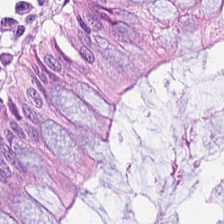H&E-stained tissue section.
The predominant tissue is normal colon mucosa.
